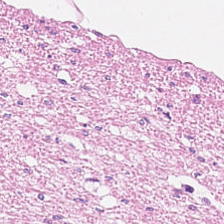H&E patch showing muscularis.
